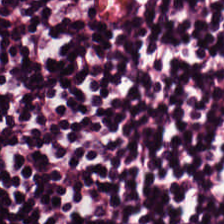H&E · 20× equivalent magnification · whole-slide-image patch — Tissue class — lymphocytes.
